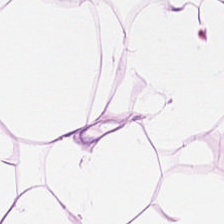Hematoxylin-and-eosin stained section — This patch shows fat tissue.
